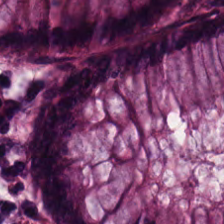This field is normal colonic mucosa.
